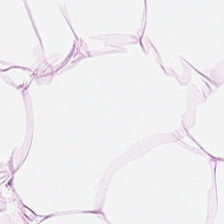H&E. 224×224 px patch. Predominant tissue = adipose tissue.
